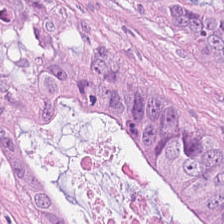H&E — malignant epithelium.
